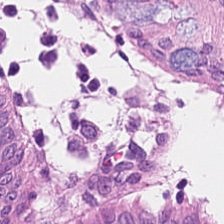Hematoxylin and eosin. Q: What tissue type is shown here?
A: This is non-neoplastic colon mucosa.
